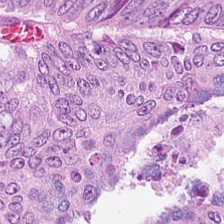H&E stain. Histology — malignant epithelium.
